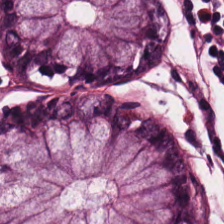Stain: H&E-stained tissue section.
Predominant tissue: normal colon mucosa.
